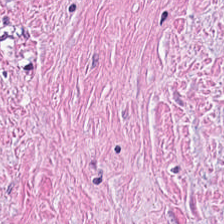Hematoxylin-and-eosin stained section. 224×224 px tile — Predominant tissue = desmoplastic stroma.
